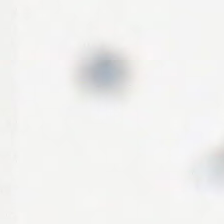H&E.
Empty field — background (no tissue).
